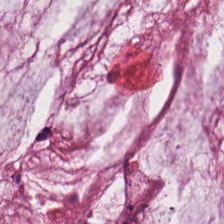H&E-stained tissue section.
Q: What tissue type is shown here?
A: The field shows mucus.
